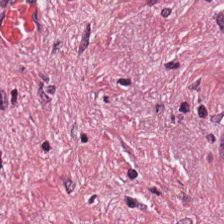H&E stain.
Histology → cancer-associated stroma.
